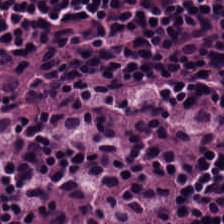H&E-stained tissue section · 224×224 px patch — Showing lymphoid infiltrate.
